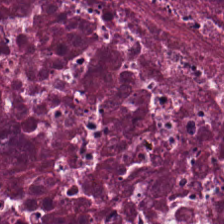Whole-slide-image patch; 224×224 px patch; hematoxylin and eosin.
Q: What does this patch show?
A: It is debris.
